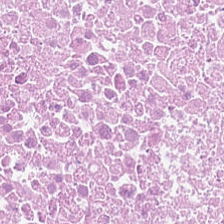H&E stain. 0.5 microns per pixel. Classification: necrotic debris.
